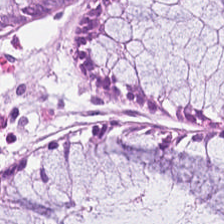H&E stain — Tissue — normal colon mucosa.
